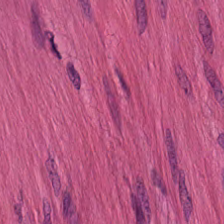0.5 µm/px; 224×224 px patch; H&E stain. Predominant tissue = smooth muscle.
